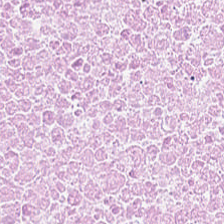Hematoxylin-and-eosin stained section.
Q: Classify this patch.
A: The field shows debris.
